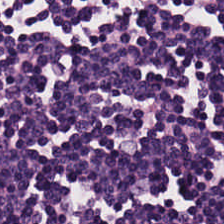Hematoxylin-and-eosin stained section — Histology → lymphoid infiltrate.
